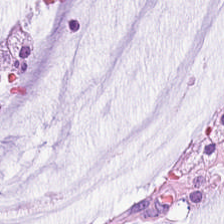Stain: H&E.
Resolution: 0.5 µm per pixel.
Predominant tissue: extracellular mucin.
